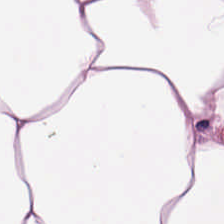H&E.
Q: Identify the tissue.
A: The field shows fat tissue.
